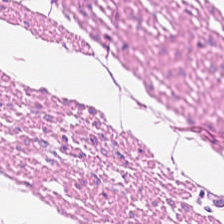H&E patch showing smooth-muscle tissue.
